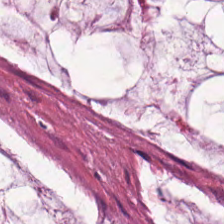H&E stain. 224×224 pixel tile. The tissue type is mucus.
